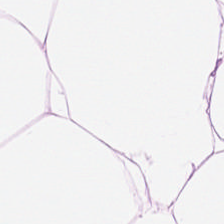H&E stain · 0.5 µm per pixel · brightfield microscopy — Tissue = fat tissue.
